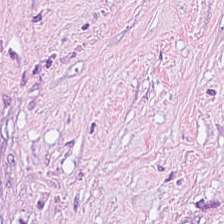FFPE; 224×224 px patch; H&E stain — Tumor-associated stroma.
